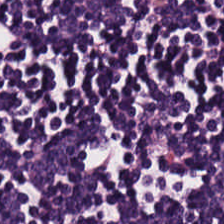Tissue: lymphoid infiltrate.
